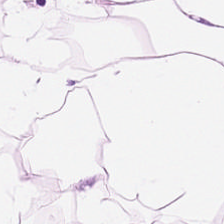Hematoxylin-and-eosin stained section · 224×224 pixel tile. This patch shows adipose tissue.
